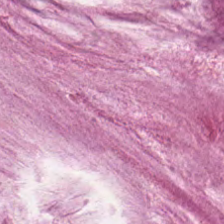H&E-stained tissue section; 224×224 px patch; formalin-fixed paraffin-embedded section. Q: What is the predominant tissue type?
A: It is mucus.
